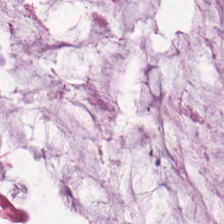Stain: H&E stain.
Resolution: 0.5 µm per pixel.
Tile size: 224×224 pixel tile.
Predominant tissue: mucus.
